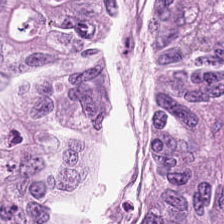Hematoxylin and eosin.
This patch shows malignant epithelium.
